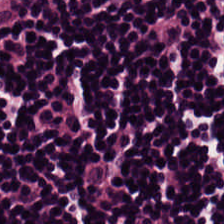H&E stain. Brightfield.
Impression → lymphocytic infiltrate.
